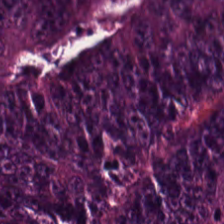H&E-stained tissue section. This field is adenocarcinoma.
